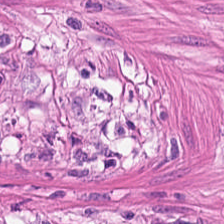H&E stain · 224×224 px patch · brightfield microscopy — Q: What is the predominant tissue type?
A: This is smooth-muscle tissue.
